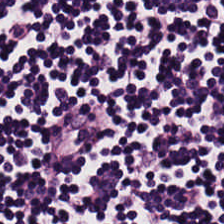Q: What tissue type is shown here?
A: This is lymphocytes.
